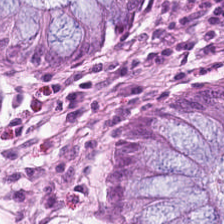224×224 px tile; hematoxylin and eosin; FFPE. {"tissue_type": "normal colon mucosa"}
